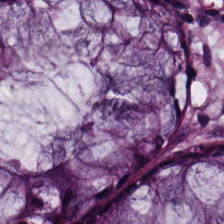The predominant tissue is normal colon mucosa.
